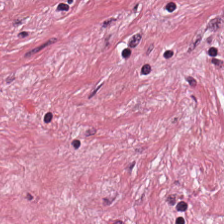H&E-stained tissue section — Tissue — cancer-associated stroma.
